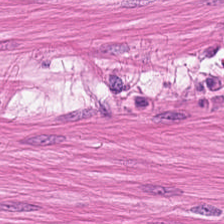Classification = muscularis.
